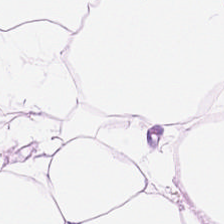FFPE. H&E stain. 0.5 µm/px — Q: What is shown in this field?
A: Adipose.
